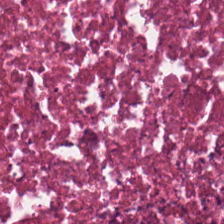Stain: H&E-stained tissue section.
Tissue class: debris.
